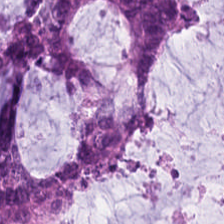H&E-stained tissue section — Showing mucus.
